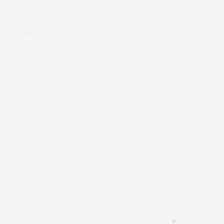Q: What is shown in this field?
A: The field shows background.
